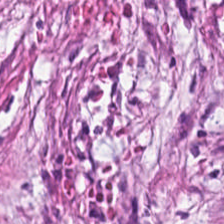H&E-stained tissue section — {"tissue_type": "cancer-associated stroma"}
